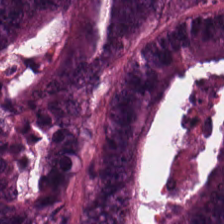Brightfield microscopy. Hematoxylin and eosin. 0.5 µm per pixel.
Showing adenocarcinoma.
